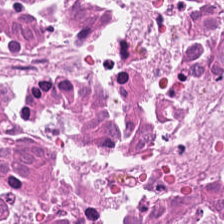Hematoxylin and eosin; FFPE; brightfield microscopy — The tissue class is necrotic debris.
